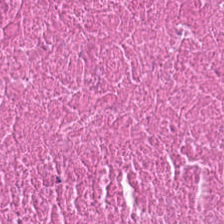H&E — necrotic debris.
